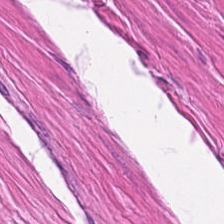WSI patch. FFPE. Hematoxylin-and-eosin stained section.
The predominant tissue is muscularis.
